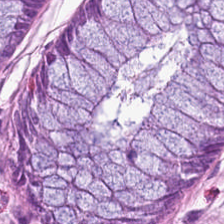H&E stain.
Tissue type — benign colonic mucosa.
